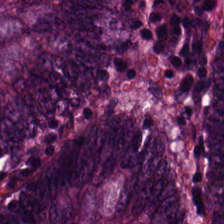Hematoxylin and eosin — Q: Identify the tissue.
A: This is colorectal adenocarcinoma epithelium.
